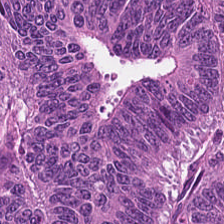Impression — colorectal adenocarcinoma epithelium.
